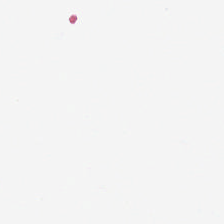Brightfield. 0.5 µm per pixel. H&E stain. Content = background.
